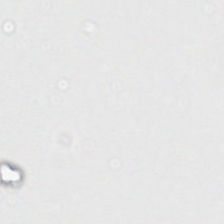{"content": "background"}
